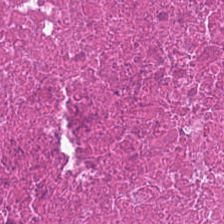H&E.
Showing debris.
